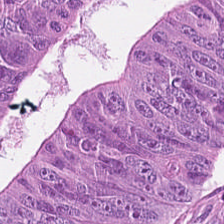Q: Identify the tissue.
A: This is colorectal adenocarcinoma.
